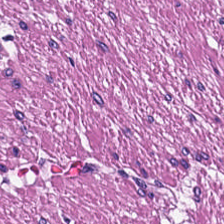0.5 µm/px · H&E stain · whole-slide-image patch.
Q: What tissue type is shown here?
A: Smooth-muscle tissue.
